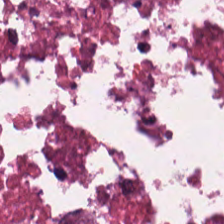H&E-stained tissue section — Showing necrotic debris.
